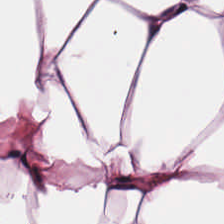0.5 microns per pixel. WSI patch. H&E.
The classification is adipocytes.
